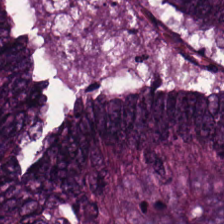Q: What is the predominant tissue type?
A: Colorectal adenocarcinoma.
